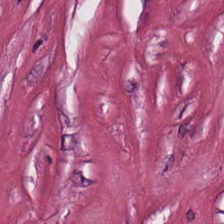H&E stain — Finding → cancer-associated stroma.
